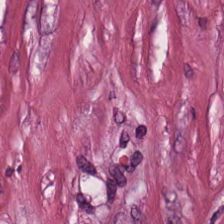H&E stain — This field is desmoplastic stroma.
